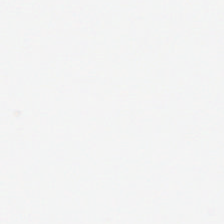Hematoxylin and eosin · 20× equivalent magnification.
Field content — background (no tissue).
